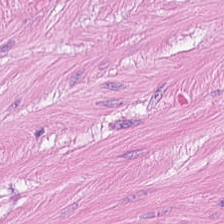{"tissue_type": "muscularis"}
